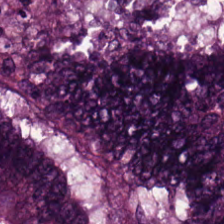Stain: hematoxylin-and-eosin stained section.
Tissue type: adenocarcinoma.
